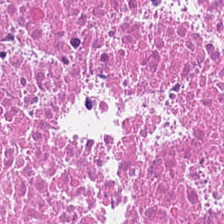{"tissue_type": "debris"}
